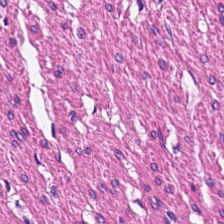0.5 microns per pixel; brightfield microscopy; H&E. Showing muscularis.
